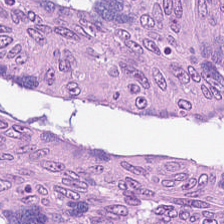H&E; 0.5 µm/px; 224×224 pixel tile — Tissue type — tumor epithelium.
